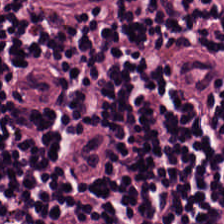Hematoxylin and eosin.
Tissue class: lymphoid infiltrate.
